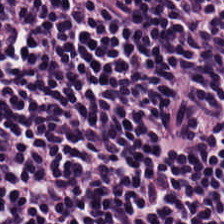The tissue here is lymphocyte aggregate.
